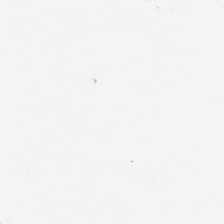Stain: H&E-stained tissue section.
Field content: no tissue.
